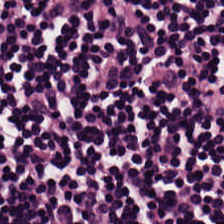H&E stain — The predominant tissue is lymphocytic infiltrate.
